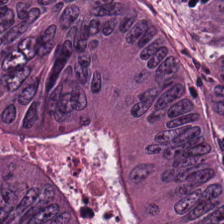Brightfield; H&E.
Showing tumor epithelium.
